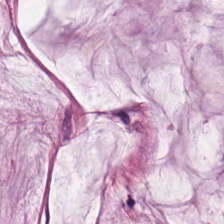Whole-slide-image patch. H&E-stained tissue section. 0.5 µm/px.
Q: What tissue is shown?
A: Mucin.
